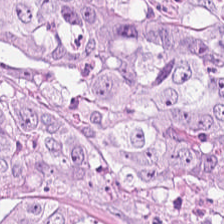H&E-stained tissue section — Tissue type — tumor epithelium.
